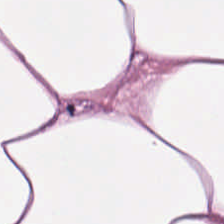{"tissue_type": "fat tissue"}
